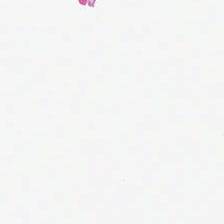Stain: H&E stain.
Tile size: 224×224 px tile.
Acquisition: brightfield microscopy.
Classification: no tissue.
